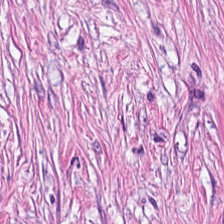Q: What is shown in this field?
A: Tumor stroma.
